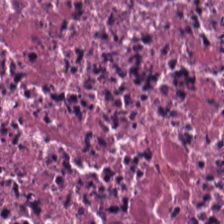H&E. Impression → debris.
